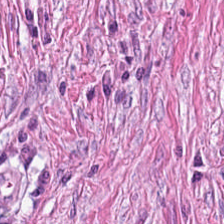Tissue type = tumor stroma.
